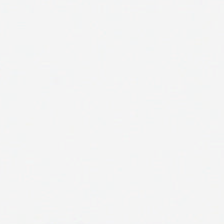This patch shows background (no tissue).
